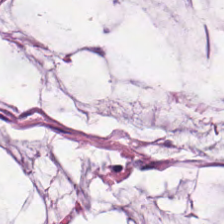Stain: hematoxylin and eosin.
Tile size: 224×224 pixel tile.
Predominant tissue: mucin.
